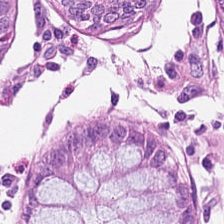H&E-stained tissue section. The predominant tissue is normal colonic mucosa.
